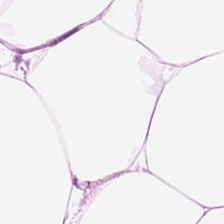H&E — Classification — adipose tissue.
